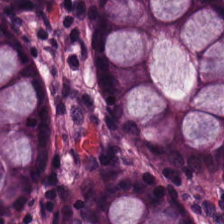Hematoxylin-and-eosin stained section.
Histology — normal colonic mucosa.
